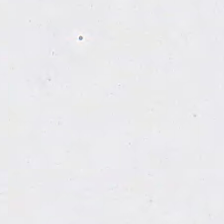Hematoxylin and eosin · 20× equivalent magnification. This field is background (no tissue).
